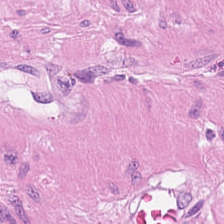H&E-stained tissue section. FFPE — Q: What tissue is shown?
A: The field shows muscularis.
